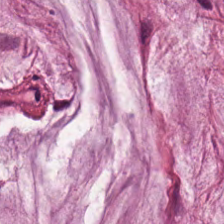Stain: H&E stain.
Tissue: mucin.
